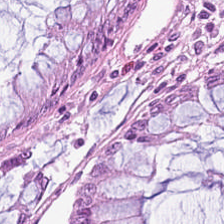H&E-stained tissue section.
Tissue type = non-neoplastic colon mucosa.
